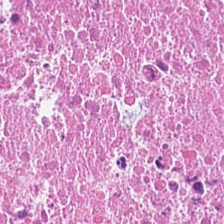H&E-stained tissue section. Predominant tissue = necrotic debris.
